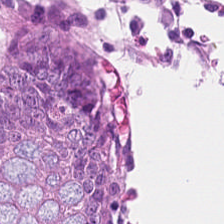H&E-stained tissue section — Finding → non-neoplastic colon mucosa.
